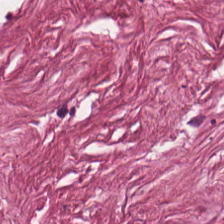H&E stain.
{"tissue_type": "cancer-associated stroma"}
